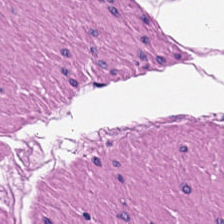H&E.
This patch shows smooth muscle.
